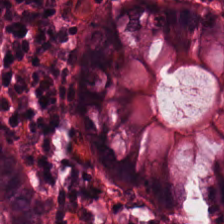WSI patch · H&E-stained tissue section · 0.5 microns per pixel — Predominant tissue = non-neoplastic colon mucosa.
